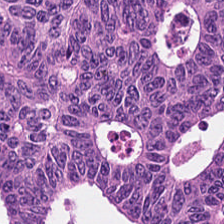Brightfield microscopy. Hematoxylin-and-eosin stained section. 20× equivalent magnification. Q: What tissue is shown?
A: Colorectal adenocarcinoma.
